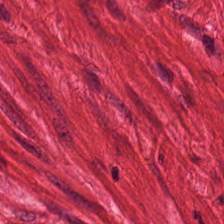Formalin-fixed paraffin-embedded section. Hematoxylin-and-eosin stained section — Tissue class = smooth muscle.
